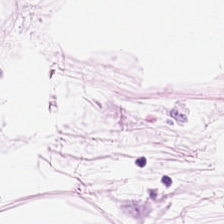Hematoxylin-and-eosin stained section; brightfield microscopy.
Histology — adipocytes.
